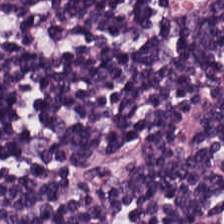H&E-stained tissue section.
{"tissue_type": "lymphocytes"}
